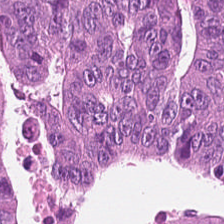Brightfield. Hematoxylin-and-eosin stained section — Showing malignant epithelium.
